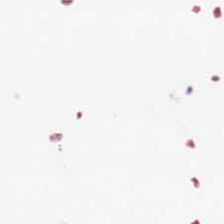Hematoxylin-and-eosin stained section · 20× equivalent magnification. This patch shows background (no tissue).
